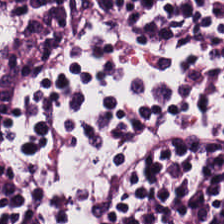H&E stain — The tissue here is lymphocytic infiltrate.
